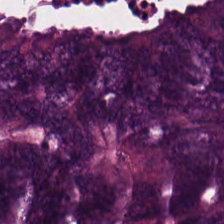FFPE tissue section · H&E-stained tissue section — Tissue = adenocarcinoma.
